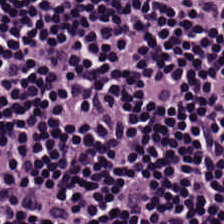H&E stain.
Classification: lymphocytic infiltrate.
